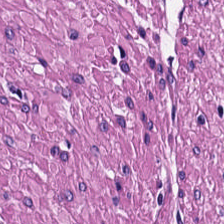H&E · whole-slide-image patch — {"tissue_type": "muscularis"}
